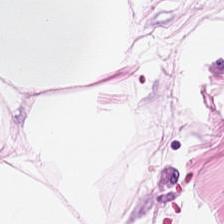H&E-stained tissue section. Showing fat tissue.
